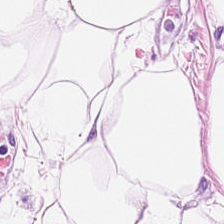H&E-stained tissue section; brightfield microscopy.
Q: What tissue type is shown here?
A: The field shows adipose.
